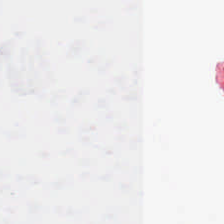H&E. Empty field — background.
